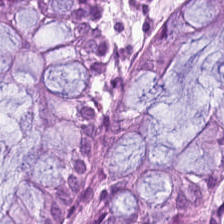H&E stain — Predominantly benign colonic mucosa.
